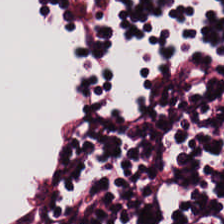Hematoxylin-and-eosin stained section — Q: Classify this patch.
A: It is lymphoid infiltrate.
